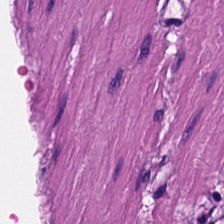Stain: H&E.
Acquisition: WSI patch.
Classification: smooth muscle.
